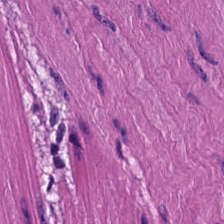H&E-stained tissue section.
The tissue class is muscularis.
